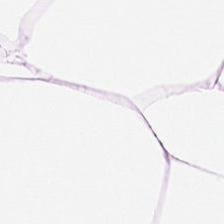0.5 microns per pixel. H&E. FFPE tissue section. This field is adipose tissue.
